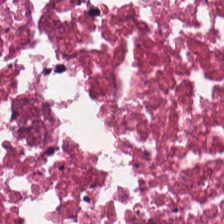Hematoxylin-and-eosin stained section — Q: What type of tissue is this?
A: It is debris.
